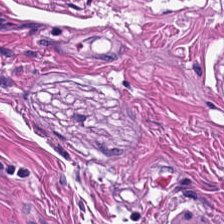{"tissue_type": "smooth muscle"}
